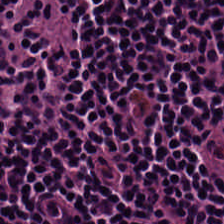Hematoxylin-and-eosin stained section — The tissue here is lymphocytic infiltrate.
